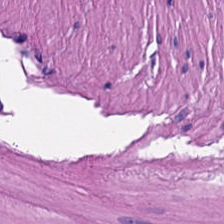H&E stain; formalin-fixed paraffin-embedded section. Showing smooth muscle.
